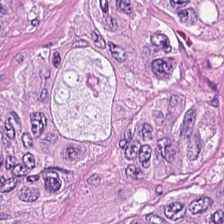The tissue is malignant epithelium.
